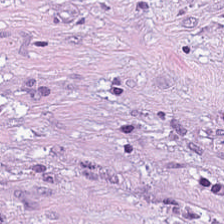H&E stain. Whole-slide-image patch. Predominantly tumor stroma.
